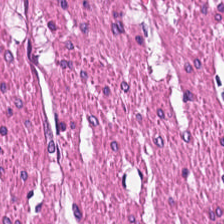FFPE tissue section · H&E.
Classification — smooth muscle.
